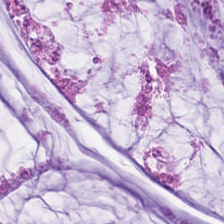Impression — extracellular mucin.
